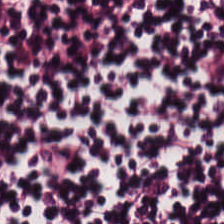H&E stain. The tissue type is lymphocytic infiltrate.
